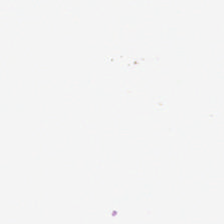H&E stain; 0.5 µm per pixel.
The field content is background.
